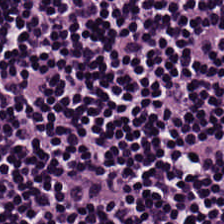H&E stain. Classification: lymphocytes.
